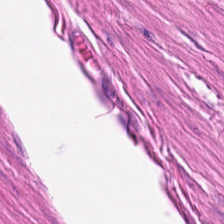0.5 µm/px · 224×224 px tile · H&E-stained tissue section. The tissue here is muscularis.
